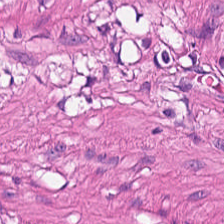H&E stain. Smooth-muscle tissue.
